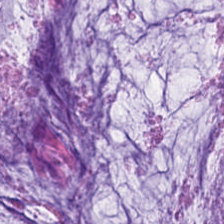Predominantly extracellular mucin.
